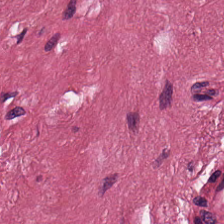H&E. FFPE.
The predominant tissue is cancer-associated stroma.
